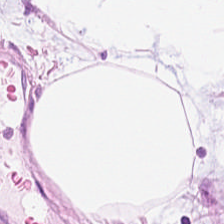WSI patch; hematoxylin and eosin — Adipocytes.
